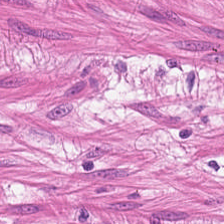Brightfield microscopy. H&E-stained tissue section. Formalin-fixed paraffin-embedded section — {"tissue_type": "muscularis"}
